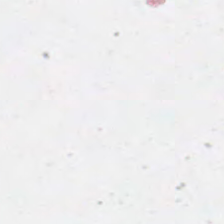H&E stain · 0.5 µm/px. This field is background (no tissue).
